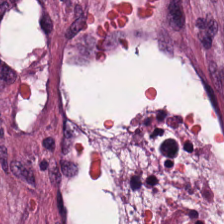Stain: H&E stain.
Resolution: 0.5 microns per pixel.
Tile size: 224×224 px patch.
Predominant tissue: desmoplastic stroma.
